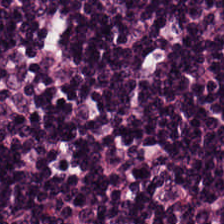H&E-stained tissue section showing lymphoid infiltrate.
